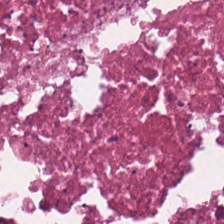H&E. The tissue class is debris.
